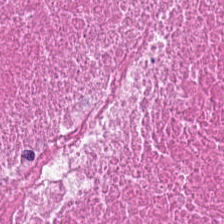Q: What is shown in this field?
A: The field shows debris.
